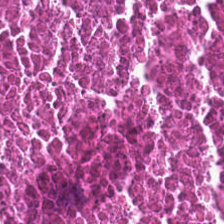0.5 µm/px; H&E-stained tissue section; FFPE tissue section — The predominant tissue is cellular debris.
